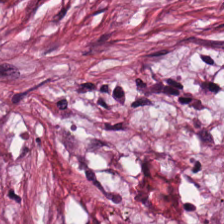WSI patch; hematoxylin and eosin; formalin-fixed paraffin-embedded section — Q: What is shown here?
A: Desmoplastic stroma.
